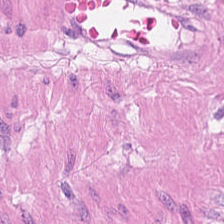0.5 µm per pixel; H&E. Tissue type — smooth-muscle tissue.
